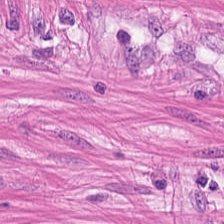H&E stain — This patch shows smooth-muscle tissue.
